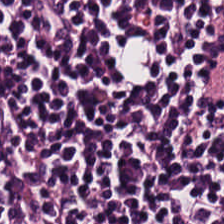0.5 µm/px; hematoxylin and eosin.
This patch shows lymphocytes.
